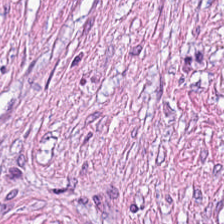224×224 px patch · H&E-stained tissue section · FFPE tissue section. {"tissue_type": "tumor-associated stroma"}
